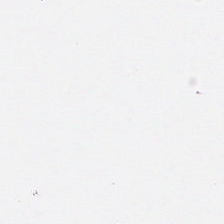H&E-stained tissue section — No tissue.
